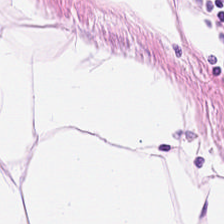Stain: H&E stain.
Tissue: adipose tissue.
